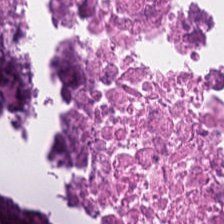Brightfield microscopy · H&E stain. The tissue here is cellular debris.
